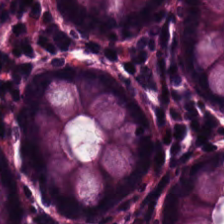Hematoxylin and eosin — The tissue here is normal colon mucosa.
